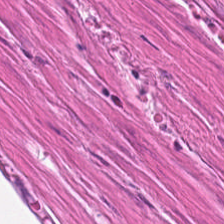Histology — muscularis.
